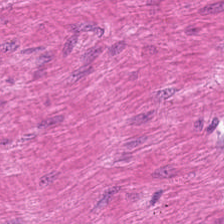H&E — Classification — smooth-muscle tissue.
